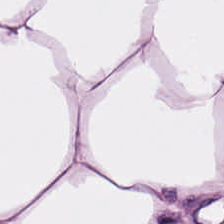Stain: hematoxylin-and-eosin stained section.
Tile size: 224×224 pixel tile.
Tissue type: adipose tissue.
